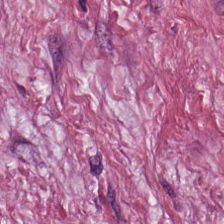The tissue type is desmoplastic stroma.
